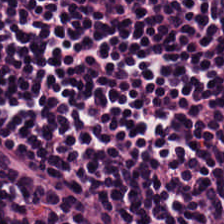0.5 microns per pixel · H&E — Tissue type — lymphocytes.
